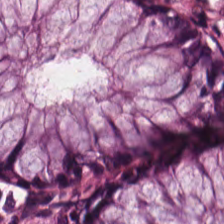Hematoxylin and eosin.
This patch shows normal colon mucosa.
